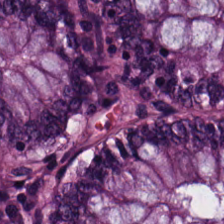Stain: H&E-stained tissue section.
Classification: normal colon mucosa.
